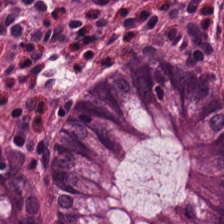H&E stain; 224×224 pixel tile; FFPE tissue section — Q: What does this patch show?
A: The field shows normal colon mucosa.
